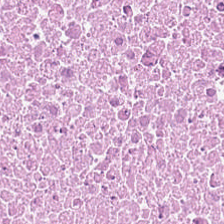Whole-slide-image patch; hematoxylin and eosin.
Predominant tissue — debris.
